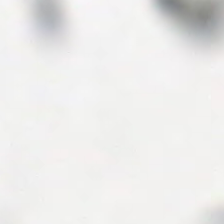0.5 µm/px · H&E stain. This patch shows background.
